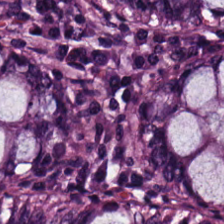FFPE tissue section · H&E. Predominant tissue = non-neoplastic colon mucosa.
